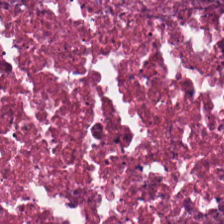Tissue class = necrotic debris.
